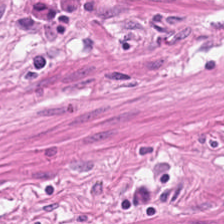Formalin-fixed paraffin-embedded section; 224×224 px patch; hematoxylin and eosin.
Q: What tissue type is shown here?
A: It is smooth muscle.
